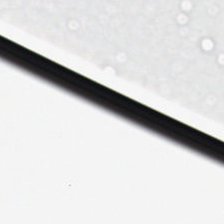Hematoxylin and eosin; whole-slide-image patch; 0.5 µm/px. Q: What is shown in this field?
A: This is background (no tissue).
